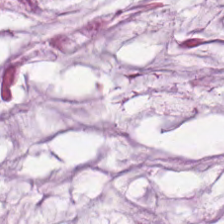Stain: H&E.
Tissue type: extracellular mucin.
